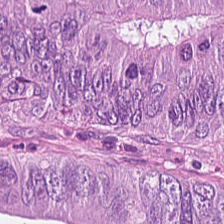H&E stain · 0.5 µm/px — Q: Identify the tissue.
A: Tumor epithelium.
